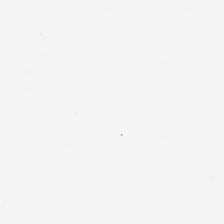H&E-stained tissue section. Impression — background (no tissue).
